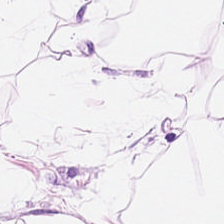Hematoxylin and eosin.
This field is adipose.
